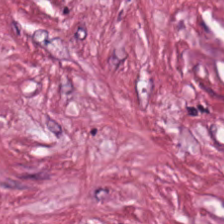H&E stain — Histology — tumor stroma.
